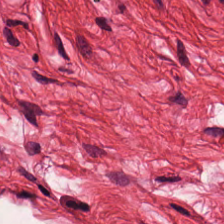Q: What does this patch show?
A: Muscularis.
